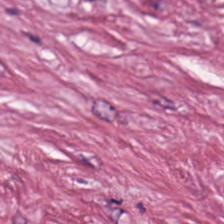Brightfield. Hematoxylin and eosin. This field is desmoplastic stroma.
